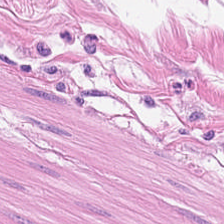0.5 µm per pixel · hematoxylin and eosin · whole-slide-image patch. Q: What does this patch show?
A: Muscularis.
